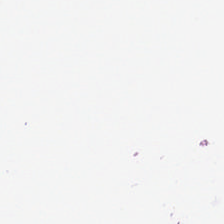Stain: H&E.
Content: no tissue.
